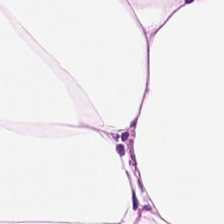H&E-stained tissue section.
Histology — adipose.
